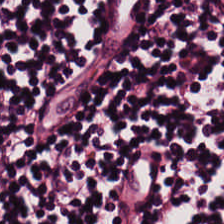Brightfield microscopy · H&E-stained tissue section. Tissue: lymphocytic infiltrate.
